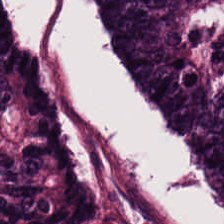H&E stain. Whole-slide-image patch. Predominantly tumor epithelium.
